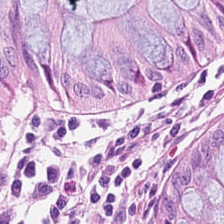Hematoxylin and eosin — Q: What tissue is shown?
A: This is benign colonic mucosa.
